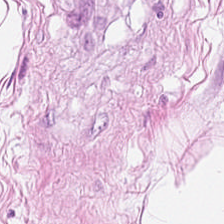Tissue = adipocytes.
